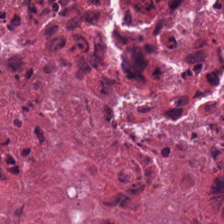{"tissue_type": "cellular debris"}
